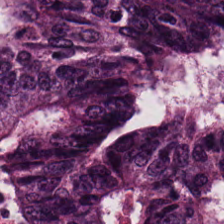H&E · 0.5 µm per pixel.
The predominant tissue is adenocarcinoma.
